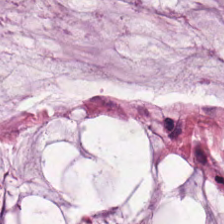H&E-stained tissue section.
The predominant tissue is extracellular mucin.
